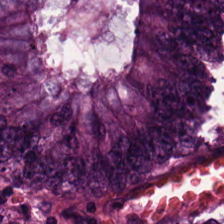Brightfield microscopy · formalin-fixed paraffin-embedded section · H&E stain. Impression — adenocarcinoma.
